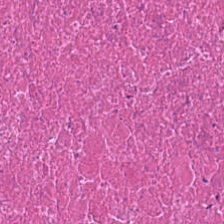{"tissue_type": "necrotic debris"}
